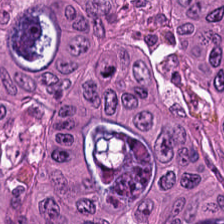H&E · 0.5 µm per pixel. Q: What does this patch show?
A: Tumor epithelium.
